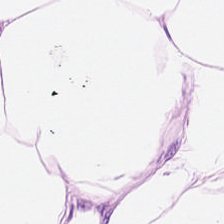FFPE. Whole-slide-image patch. Hematoxylin and eosin — Fat tissue.
